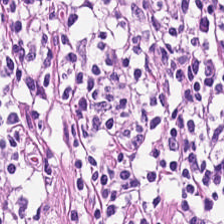Tissue type = lymphocytes.
